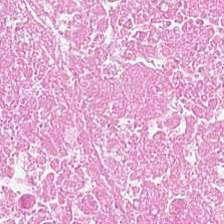224×224 px patch; 0.5 µm per pixel; H&E — Tissue class = debris.
